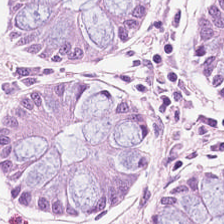H&E.
Q: What tissue type is shown here?
A: This is normal colon mucosa.
